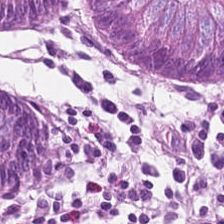H&E-stained tissue section. Tissue class = normal colonic mucosa.
